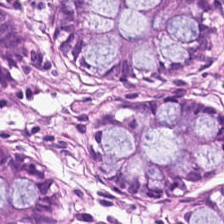H&E stain — Tissue class = non-neoplastic colon mucosa.
